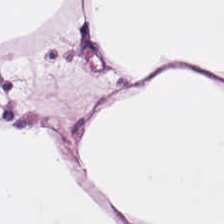Q: What is the predominant tissue type?
A: This is fat tissue.
